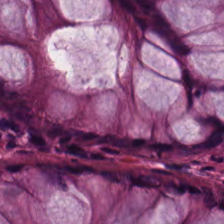{"tissue_type": "non-neoplastic colon mucosa"}
